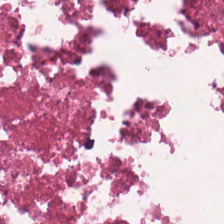Hematoxylin and eosin; 0.5 µm per pixel.
Classification = necrotic debris.
